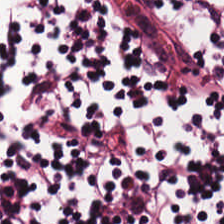Hematoxylin-and-eosin stained section.
Showing lymphocyte aggregate.
